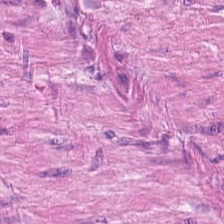Stain: H&E stain.
Tile size: 224×224 pixel tile.
Tissue type: muscularis.
